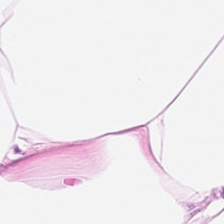Hematoxylin and eosin — Histology → adipose.
